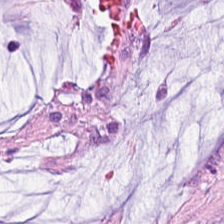Stain: H&E.
Preparation: formalin-fixed paraffin-embedded section.
Tissue type: extracellular mucin.
